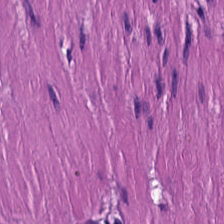224×224 pixel tile · H&E-stained tissue section.
Predominant tissue = muscularis.
